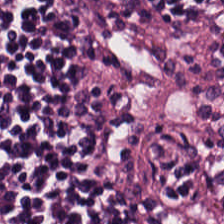224×224 px patch; H&E — Showing lymphoid infiltrate.
